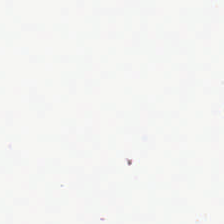Background.
